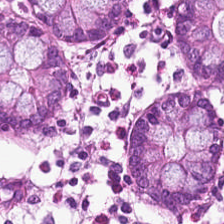H&E-stained tissue section.
Tissue type = normal colon mucosa.
